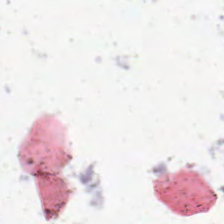H&E stain. 224×224 px patch.
No tissue present; background only.
